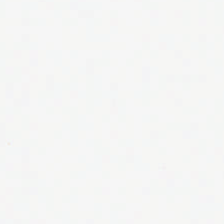Stain: H&E stain.
Classification: no tissue.
